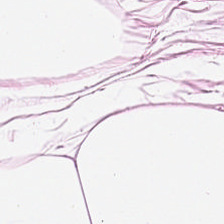Predominant tissue = adipose.
